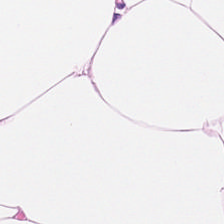This patch shows adipocytes.
